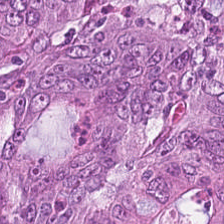Stain: H&E stain.
Classification: colorectal adenocarcinoma epithelium.
